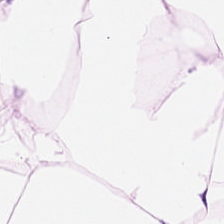Tissue class = adipose.
